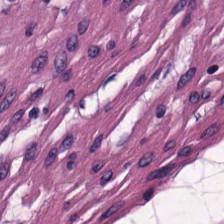H&E stain.
Q: What is shown here?
A: The field shows muscularis.
